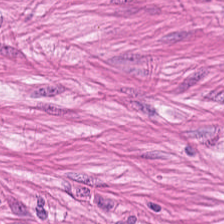Hematoxylin and eosin.
Tissue class = smooth muscle.
